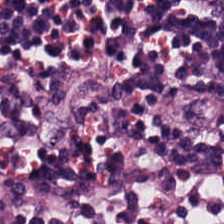H&E · 20× equivalent magnification · brightfield. This patch shows lymphocytic infiltrate.
